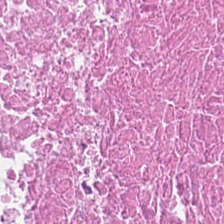Stain: H&E stain.
Tissue: debris.
